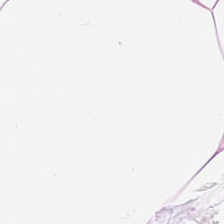Hematoxylin and eosin. Tissue type: adipose.
